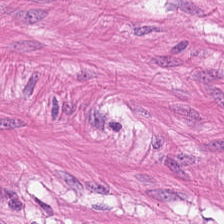Impression — muscularis.
